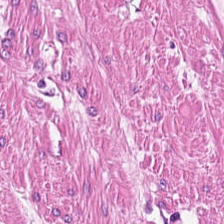Hematoxylin and eosin. The tissue type is smooth-muscle tissue.
